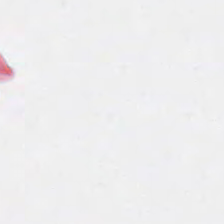Q: Classify this patch.
A: This is no tissue.
